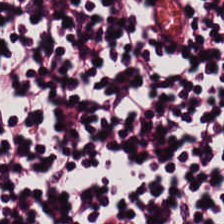Brightfield; hematoxylin-and-eosin stained section — Q: Identify the tissue.
A: The field shows lymphocytic infiltrate.
